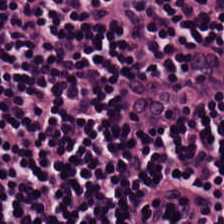Hematoxylin and eosin.
{"tissue_type": "lymphocytic infiltrate"}
